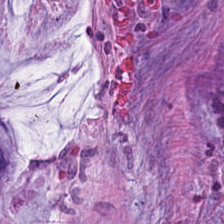H&E-stained tissue section — Q: Classify this patch.
A: The field shows mucus.
